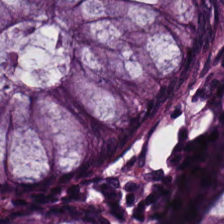Q: What is the predominant tissue type?
A: Normal colon mucosa.
